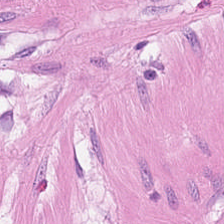Hematoxylin-and-eosin stained section. Predominantly smooth-muscle tissue.
